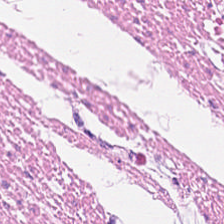H&E.
The tissue here is smooth muscle.
